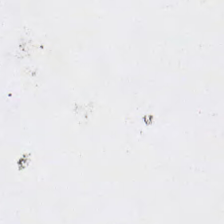Stain: H&E stain.
Classification: empty background.
